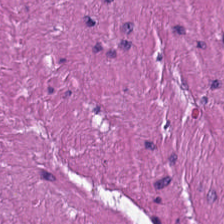{"tissue_type": "muscularis"}
